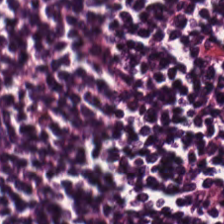Hematoxylin-and-eosin stained section. Brightfield — {"tissue_type": "lymphocytic infiltrate"}
